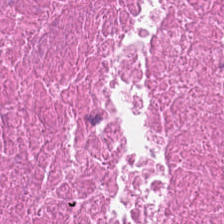H&E.
Impression → cellular debris.
